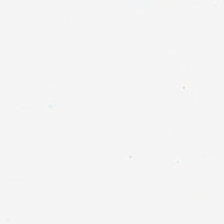H&E-stained tissue section; formalin-fixed paraffin-embedded section.
Content: no tissue.
